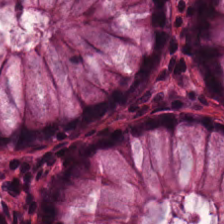Stain: H&E.
Tile size: 224×224 px tile.
Preparation: FFPE tissue section.
Tissue class: benign colonic mucosa.
